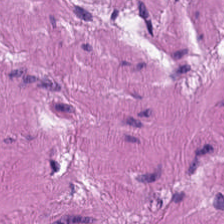H&E.
This field is muscularis.
